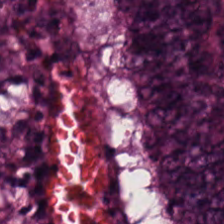Brightfield microscopy · hematoxylin-and-eosin stained section · 0.5 µm/px — Predominantly malignant epithelium.
